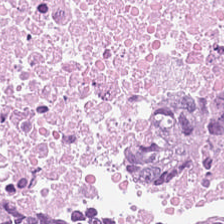Hematoxylin and eosin. 224×224 px tile. {"tissue_type": "debris"}
